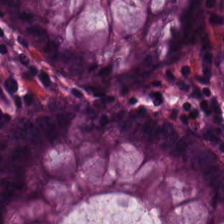224×224 px patch; H&E-stained tissue section; FFPE tissue section — Predominantly normal colon mucosa.
